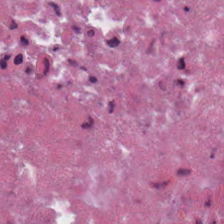224×224 pixel tile. Hematoxylin-and-eosin stained section.
The tissue here is cellular debris.
